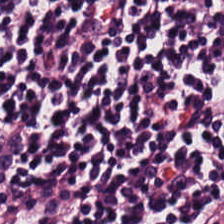H&E-stained tissue section · 224×224 px patch — This patch shows lymphoid infiltrate.
